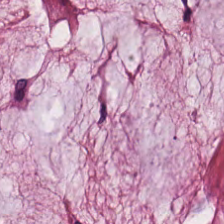Hematoxylin-and-eosin stained section. Tissue class = mucin.
